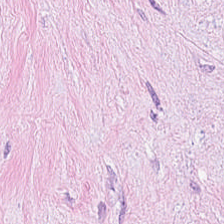H&E stain — Histology — tumor-associated stroma.
